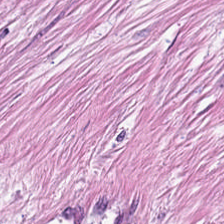H&E.
The predominant tissue is tumor-associated stroma.
